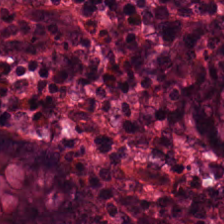Q: What type of tissue is this?
A: Normal colon mucosa.
